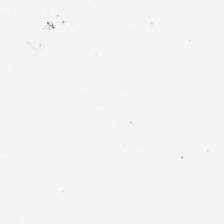Hematoxylin-and-eosin stained section. Empty field — background (no tissue).
